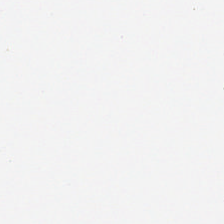Hematoxylin and eosin.
Q: What is shown in this field?
A: It is background.
